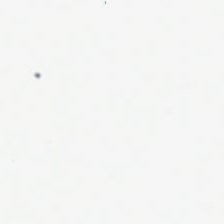Hematoxylin and eosin — Q: What is shown here?
A: Background.
